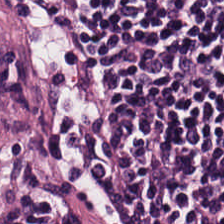H&E stain. Whole-slide-image patch.
Q: What tissue type is shown here?
A: This is lymphocytes.
